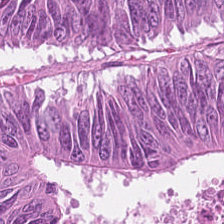Formalin-fixed paraffin-embedded section · hematoxylin and eosin · brightfield microscopy.
Q: Classify this patch.
A: Colorectal adenocarcinoma epithelium.
